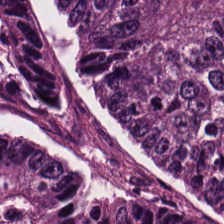224×224 px tile. H&E stain. Q: Identify the tissue.
A: It is adenocarcinoma.
